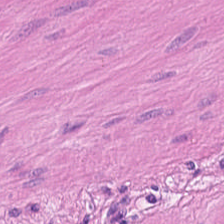H&E. Predominant tissue — smooth-muscle tissue.
